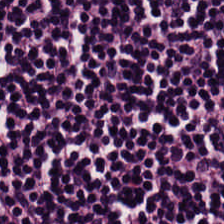H&E-stained tissue section — Lymphocytic infiltrate.
